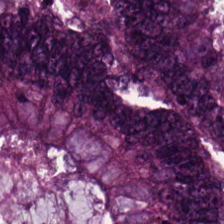{"tissue_type": "malignant epithelium"}
